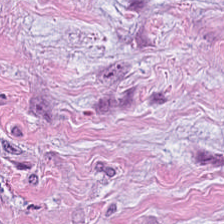H&E-stained tissue section. This field is desmoplastic stroma.
